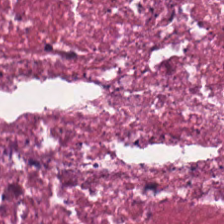This field is debris.
